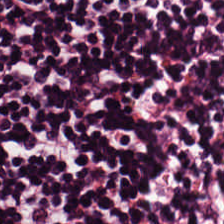H&E patch showing lymphoid infiltrate.
